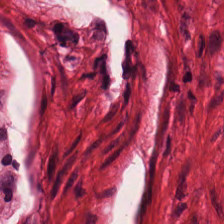FFPE tissue section. 224×224 pixel tile. H&E-stained tissue section. Tissue = smooth muscle.
